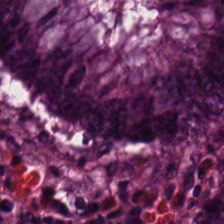WSI patch. H&E stain — This patch shows benign colonic mucosa.
